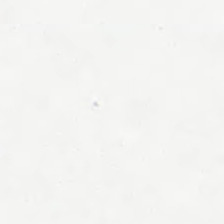20× equivalent magnification. H&E-stained tissue section. {"content": "background (no tissue)"}
